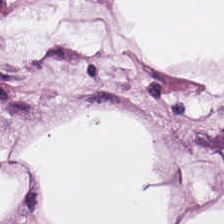H&E-stained tissue section.
Showing adipose tissue.
